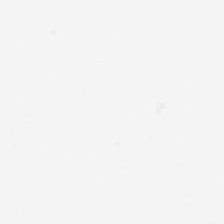0.5 µm per pixel · H&E-stained tissue section.
Q: What is shown in this field?
A: No tissue.
